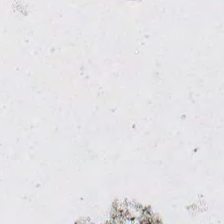H&E-stained tissue section. Q: What is shown here?
A: It is no tissue.
